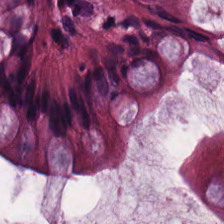WSI patch · 0.5 µm per pixel · H&E — Finding → benign colonic mucosa.
